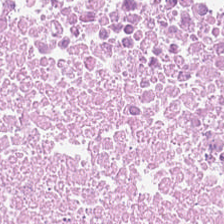The tissue here is necrotic debris.
